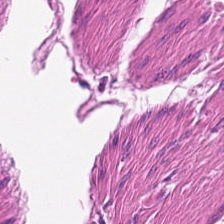The tissue here is smooth muscle.
